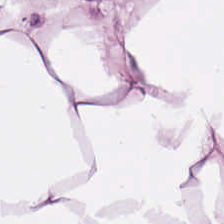WSI patch. Hematoxylin and eosin — The predominant tissue is adipose tissue.
